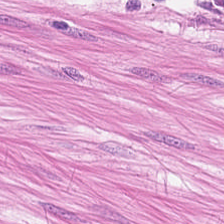0.5 µm per pixel · H&E. The predominant tissue is smooth muscle.
